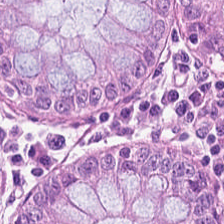Stain: hematoxylin-and-eosin stained section.
Tissue: benign colonic mucosa.
